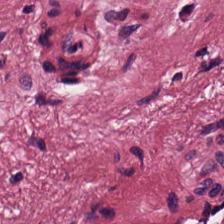Stain: hematoxylin and eosin.
Tissue: desmoplastic stroma.
